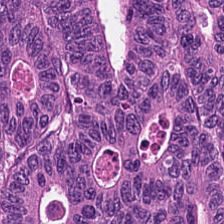H&E-stained tissue section. 224×224 px patch — Impression — colorectal adenocarcinoma.
